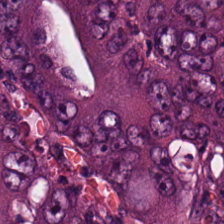H&E-stained tissue section.
Q: Classify this patch.
A: The field shows colorectal adenocarcinoma.
